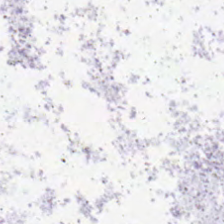H&E — Finding → background (no tissue).
